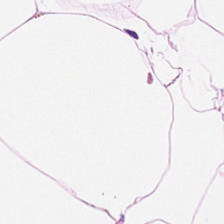Hematoxylin-and-eosin stained section. Whole-slide-image patch. 0.5 µm per pixel — {"tissue_type": "adipose tissue"}
